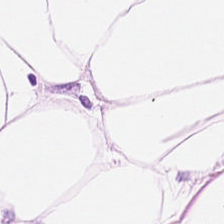H&E-stained tissue section.
Fat tissue.
